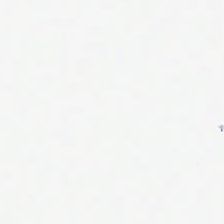Content: background.
